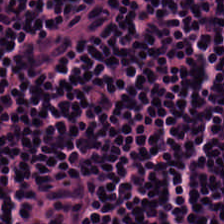H&E — This field is lymphoid infiltrate.
